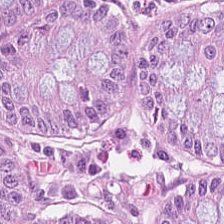Hematoxylin-and-eosin stained section — Q: What does this patch show?
A: This is normal colon mucosa.
